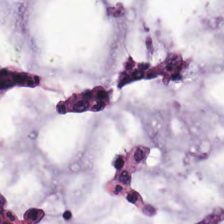H&E-stained tissue section.
Histology — mucin.
